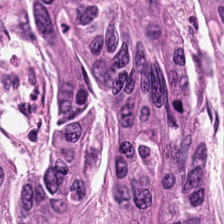Tissue type = colorectal adenocarcinoma.
